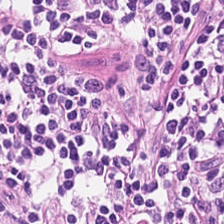Predominant tissue — lymphoid infiltrate.
